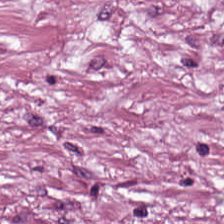H&E stain — Tissue = cancer-associated stroma.
